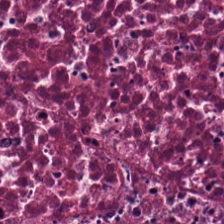Stain: hematoxylin and eosin.
Tissue: debris.
